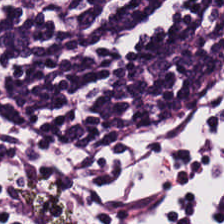H&E stain. Q: What is shown here?
A: The field shows lymphocytes.
